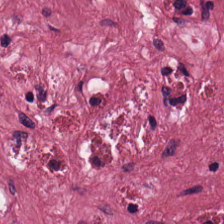Hematoxylin and eosin. Predominant tissue — cancer-associated stroma.
